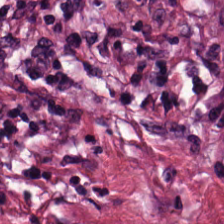Q: What tissue type is shown here?
A: Tumor stroma.
